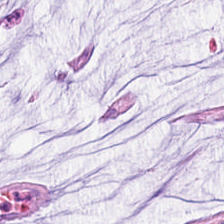Brightfield; hematoxylin-and-eosin stained section.
Mucus.
